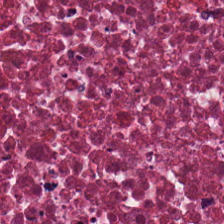Stain: hematoxylin-and-eosin stained section.
Acquisition: whole-slide-image patch.
Tissue: cellular debris.
